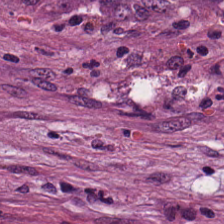Stain: hematoxylin-and-eosin stained section.
Predominant tissue: tumor-associated stroma.
